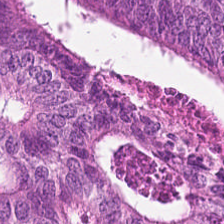Brightfield; hematoxylin and eosin; 20× equivalent magnification. Predominant tissue: colorectal adenocarcinoma epithelium.
